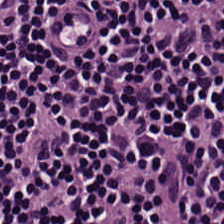H&E stain · brightfield — Lymphocyte aggregate.
